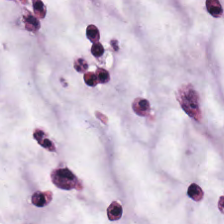H&E. 224×224 pixel tile. Q: What does this patch show?
A: The field shows mucus.
